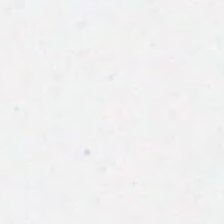No tissue present; background only.
